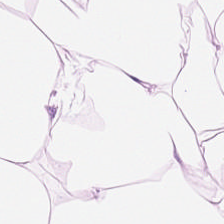Whole-slide-image patch · FFPE · H&E-stained tissue section.
{"tissue_type": "adipose tissue"}
